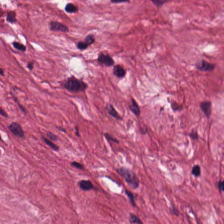Stain: H&E-stained tissue section.
Classification: tumor stroma.
